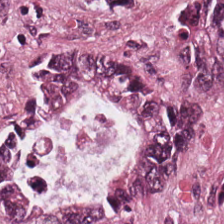Stain: H&E stain.
Predominant tissue: adenocarcinoma.
